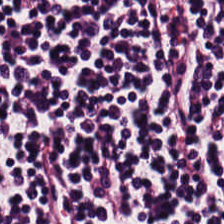Q: What type of tissue is this?
A: It is lymphocyte aggregate.
